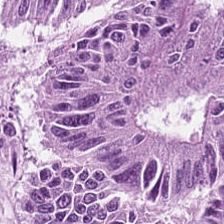Stain: H&E stain.
Tissue type: adenocarcinoma.
